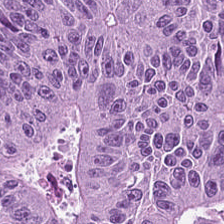The tissue here is colorectal adenocarcinoma epithelium.
